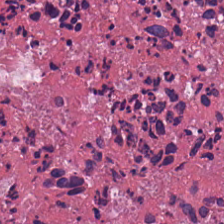Finding — necrotic debris.
